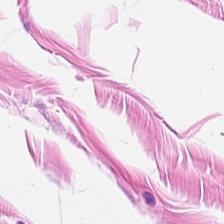0.5 µm/px. H&E-stained tissue section.
{"tissue_type": "smooth muscle"}
